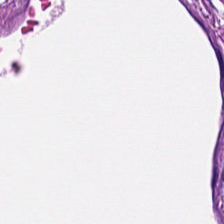H&E-stained section; the field shows smooth-muscle tissue.
